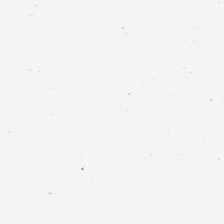Content = background.
